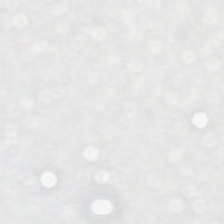FFPE tissue section · H&E — Content: background (no tissue).
